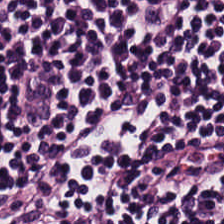H&E; FFPE — Q: Classify this patch.
A: This is lymphocytes.
